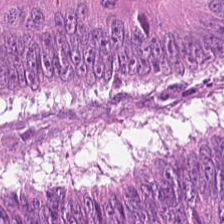H&E-stained tissue section — Finding → malignant epithelium.
